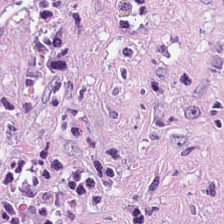224×224 pixel tile · H&E-stained tissue section · FFPE. Cancer-associated stroma.
